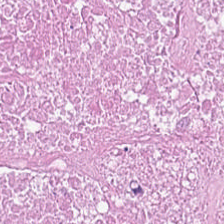The tissue class is necrotic debris.
